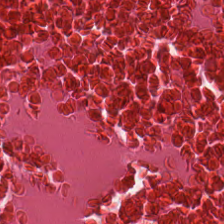H&E stain; brightfield microscopy. Necrotic debris.
